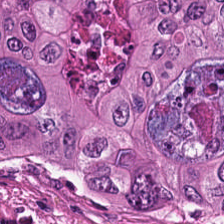224×224 pixel tile · 0.5 microns per pixel · H&E-stained tissue section. Impression → colorectal adenocarcinoma.
